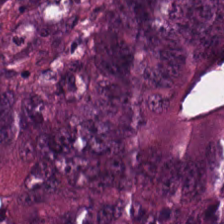H&E-stained tissue section. Formalin-fixed paraffin-embedded section — Finding → colorectal adenocarcinoma.
